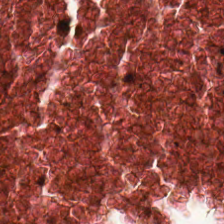224×224 pixel tile. H&E stain.
{"tissue_type": "necrotic debris"}
